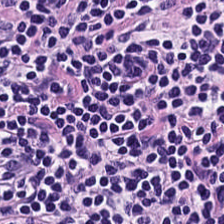Brightfield; H&E-stained tissue section. Predominantly lymphocytes.
